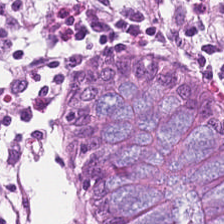Whole-slide-image patch · 0.5 µm per pixel · hematoxylin-and-eosin stained section — Predominant tissue — normal colonic mucosa.
